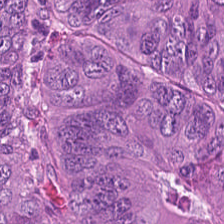Tissue class: tumor epithelium.
